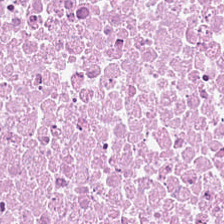224×224 px patch; FFPE tissue section; hematoxylin and eosin. The classification is debris.
